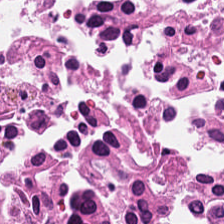H&E stain — Showing cellular debris.
